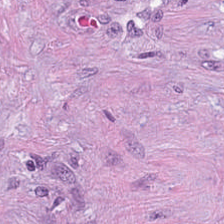FFPE. Hematoxylin-and-eosin stained section.
Q: What tissue type is shown here?
A: It is desmoplastic stroma.
